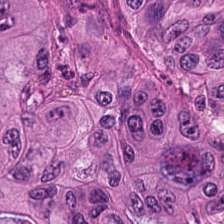H&E-stained tissue section showing adenocarcinoma.
